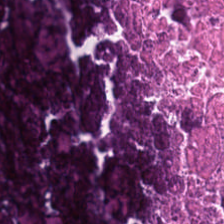Stain: H&E stain.
Preparation: FFPE tissue section.
Tile size: 224×224 px patch.
Predominant tissue: cellular debris.
